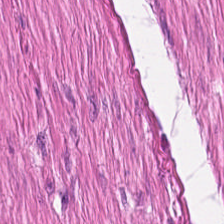Hematoxylin and eosin. The tissue is muscularis.
